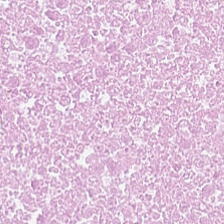Whole-slide-image patch. H&E. 0.5 µm per pixel. The tissue is debris.
